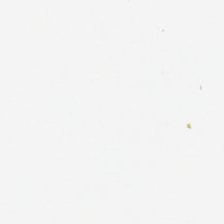WSI patch · hematoxylin and eosin. Finding — background.
